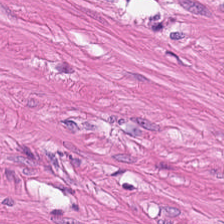H&E-stained tissue section. Showing smooth muscle.
